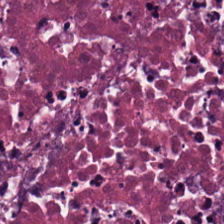Brightfield. H&E stain. 224×224 px tile.
This patch shows necrotic debris.
